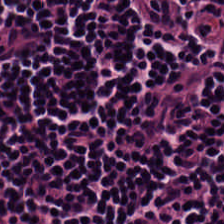Hematoxylin and eosin.
The predominant tissue is lymphocytic infiltrate.
